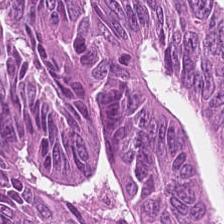224×224 px tile · hematoxylin and eosin — Q: What is shown here?
A: It is colorectal adenocarcinoma epithelium.
